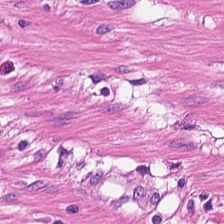H&E. 224×224 px tile. Brightfield microscopy.
{"tissue_type": "muscularis"}
